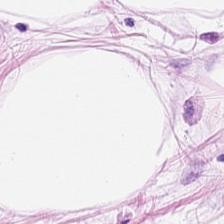Stain: H&E stain.
Classification: adipocytes.
